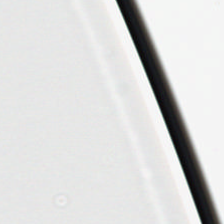224×224 pixel tile · 20× equivalent magnification · H&E-stained tissue section. Background (no tissue).
